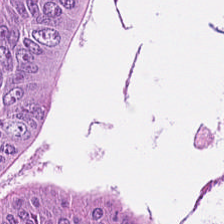Stain: H&E-stained tissue section.
Classification: adenocarcinoma.
